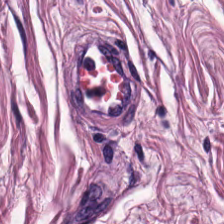224×224 pixel tile · H&E stain · brightfield microscopy.
Impression → smooth muscle.
